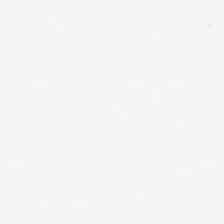Hematoxylin-and-eosin stained section.
Q: Classify this patch.
A: No tissue.
